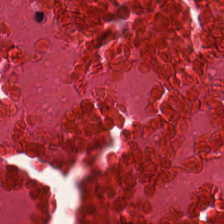H&E stain. The tissue here is necrotic debris.
